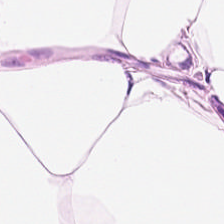H&E-stained tissue section. Classification: fat tissue.
